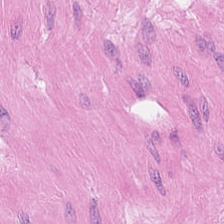224×224 px patch. H&E stain. Smooth-muscle tissue.
